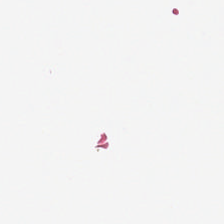Brightfield. H&E.
Q: What does this patch show?
A: This is background.
